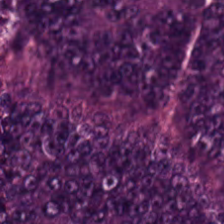Stain: H&E.
Tissue: colorectal adenocarcinoma.
